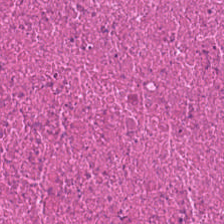FFPE · H&E — This field is necrotic debris.
